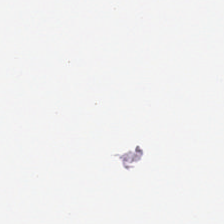FFPE · hematoxylin-and-eosin stained section · 0.5 microns per pixel.
Q: Classify this patch.
A: This is background (no tissue).
